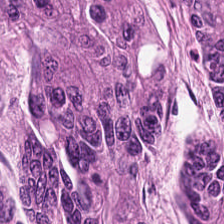H&E stain. Finding — colorectal adenocarcinoma epithelium.
